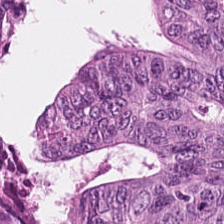Whole-slide-image patch; H&E stain; formalin-fixed paraffin-embedded section. Colorectal adenocarcinoma.
